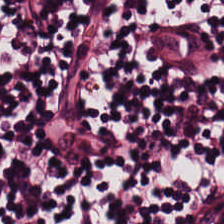Stain: hematoxylin and eosin.
Tissue class: lymphocytic infiltrate.
